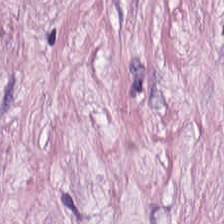H&E-stained tissue section showing desmoplastic stroma.
